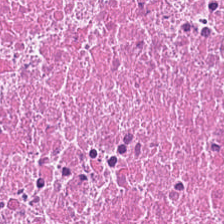FFPE · H&E. Q: What is shown here?
A: This is cellular debris.
